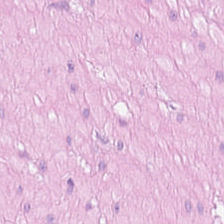H&E-stained tissue section. Q: Identify the tissue.
A: The field shows muscularis.
